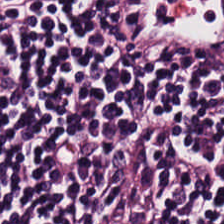Hematoxylin and eosin. Brightfield.
Histology — lymphocyte aggregate.
